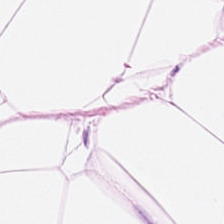The tissue class is adipocytes.
